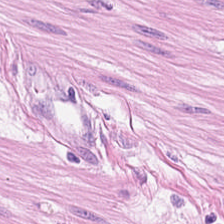H&E-stained tissue section. Tissue type = smooth-muscle tissue.
